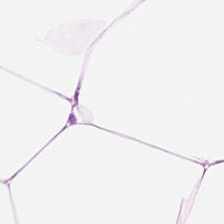Stain: H&E stain.
Preparation: formalin-fixed paraffin-embedded section.
Acquisition: brightfield.
Classification: adipose.
